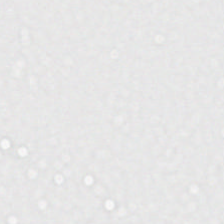Q: Classify this patch.
A: This is no tissue.
